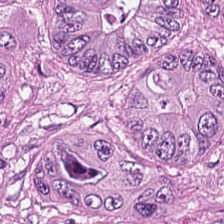H&E — adenocarcinoma.
